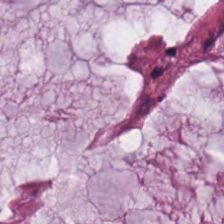H&E. Predominantly mucus.
